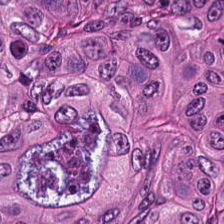Whole-slide-image patch · H&E-stained tissue section · 0.5 microns per pixel — Q: What tissue type is shown here?
A: The field shows colorectal adenocarcinoma.
